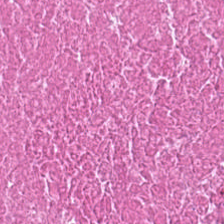Brightfield microscopy; FFPE; hematoxylin-and-eosin stained section — This field is debris.
